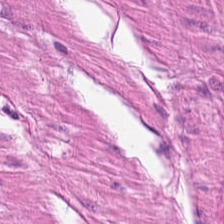H&E stain; FFPE. Finding — smooth muscle.
